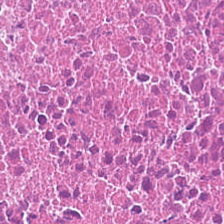FFPE. H&E-stained tissue section. The predominant tissue is debris.
